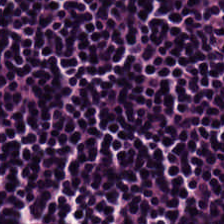224×224 pixel tile. 0.5 µm per pixel. H&E.
This patch shows lymphoid infiltrate.
